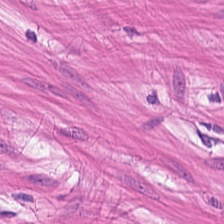H&E stain · 224×224 pixel tile.
Q: What is shown in this field?
A: Muscularis.
